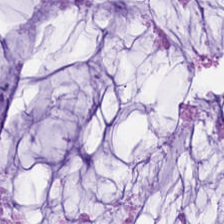224×224 px tile · brightfield · H&E-stained tissue section. This patch shows extracellular mucin.
